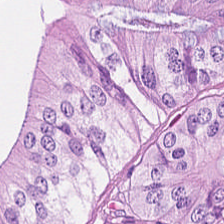H&E stain. {"tissue_type": "colorectal adenocarcinoma"}
